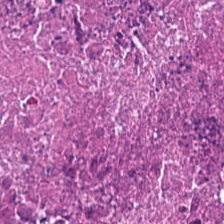Hematoxylin-and-eosin stained section. The tissue here is necrotic debris.
